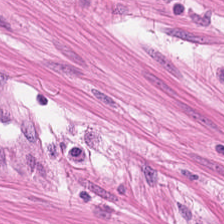Hematoxylin-and-eosin stained section. This field is smooth-muscle tissue.
